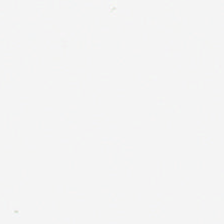0.5 µm per pixel · H&E stain. Background — no tissue in this field.
